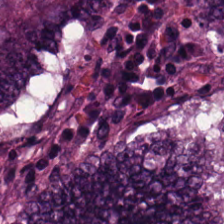FFPE tissue section · 0.5 µm/px · hematoxylin-and-eosin stained section.
Q: What is shown in this field?
A: This is malignant epithelium.
